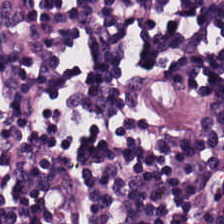Hematoxylin and eosin · WSI patch · FFPE. Predominant tissue = lymphocytic infiltrate.
